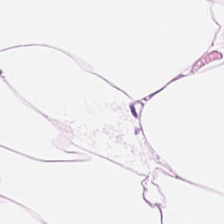Stain: H&E-stained tissue section.
Predominant tissue: adipocytes.
